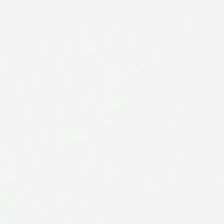No tissue present; background only.
